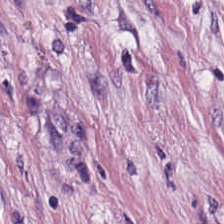Hematoxylin-and-eosin stained section.
Showing desmoplastic stroma.
